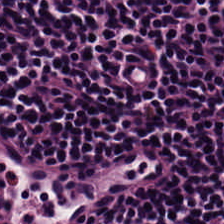Tissue class — lymphocyte aggregate.
